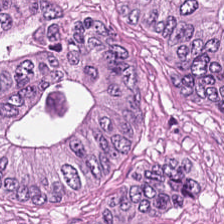Hematoxylin-and-eosin stained section — Q: What is the predominant tissue type?
A: Colorectal adenocarcinoma.
